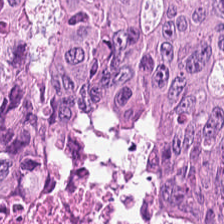H&E — Showing colorectal adenocarcinoma.
